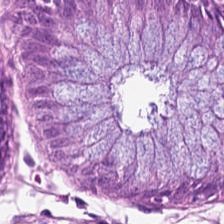224×224 px tile. Hematoxylin-and-eosin stained section. 0.5 microns per pixel. Q: What type of tissue is this?
A: The field shows non-neoplastic colon mucosa.
